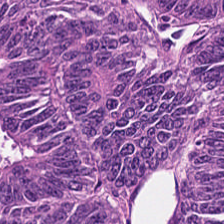H&E-stained tissue section showing adenocarcinoma.
